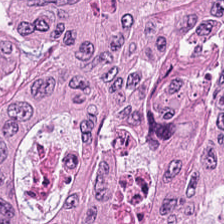H&E stain. 20× equivalent magnification. 224×224 pixel tile. Tumor epithelium.
